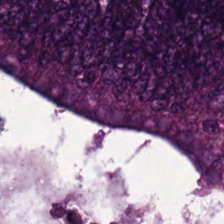The tissue is malignant epithelium.
